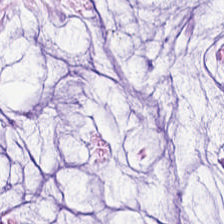FFPE; hematoxylin and eosin — The tissue is mucus.
